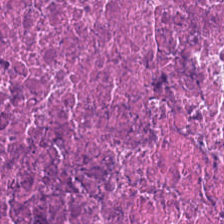0.5 µm/px · H&E · FFPE.
Debris.
